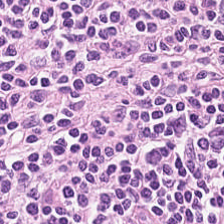224×224 pixel tile · H&E-stained tissue section — Lymphoid infiltrate.
